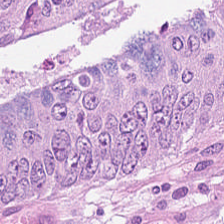Hematoxylin and eosin; 0.5 microns per pixel — Showing adenocarcinoma.
